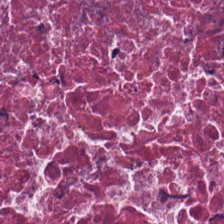Hematoxylin and eosin; 0.5 µm per pixel.
Q: What is shown in this field?
A: This is debris.
